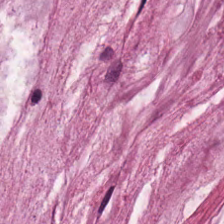H&E-stained tissue section.
The classification is mucin.
